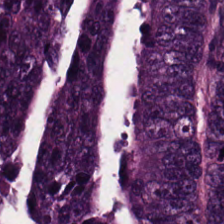H&E stain — {"tissue_type": "colorectal adenocarcinoma"}
